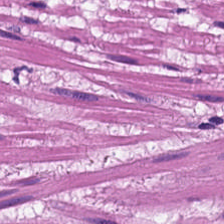Hematoxylin-and-eosin stained section · brightfield microscopy — Histology → smooth muscle.
